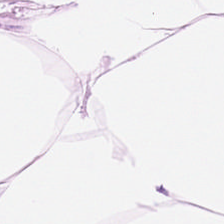Stain: H&E-stained tissue section.
Tissue: adipose.
